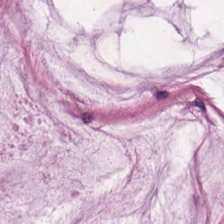Hematoxylin-and-eosin stained section. Tissue type: mucus.
